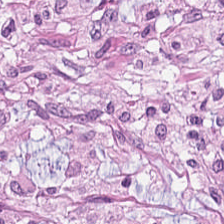0.5 µm per pixel. H&E stain. WSI patch.
Q: What is the predominant tissue type?
A: Tumor stroma.
